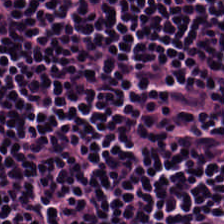Hematoxylin-and-eosin stained section · FFPE tissue section — Q: What is shown in this field?
A: Lymphocytic infiltrate.
